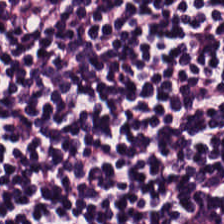0.5 µm/px · H&E-stained tissue section. Lymphocytes.
